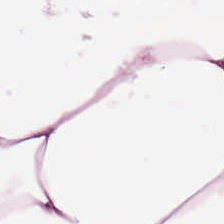224×224 pixel tile; formalin-fixed paraffin-embedded section; H&E-stained tissue section — Showing adipose tissue.
